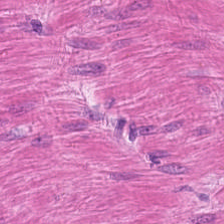0.5 µm per pixel; hematoxylin and eosin.
Showing smooth-muscle tissue.
